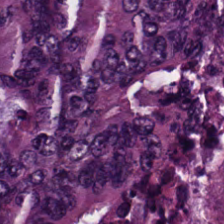Hematoxylin and eosin.
Q: What tissue is shown?
A: This is tumor epithelium.
